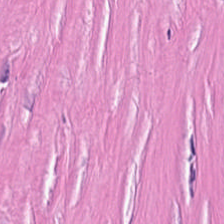Predominantly tumor stroma.
